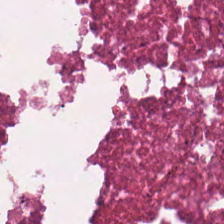0.5 µm per pixel. H&E-stained tissue section — This field is debris.
